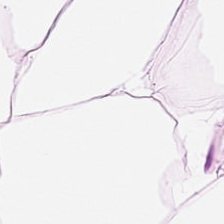H&E-stained tissue section. Adipocytes.
